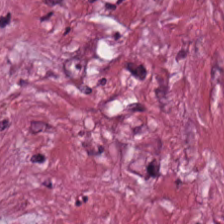H&E.
The tissue class is cancer-associated stroma.
